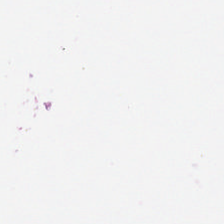Stain: hematoxylin and eosin.
Resolution: 0.5 µm/px.
Classification: background (no tissue).
